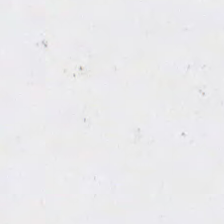Stain: hematoxylin-and-eosin stained section.
Tile size: 224×224 px patch.
Field content: background.
